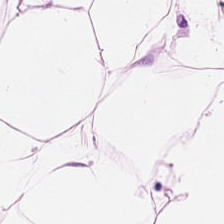H&E. 224×224 px tile. Whole-slide-image patch. Tissue type = adipocytes.
